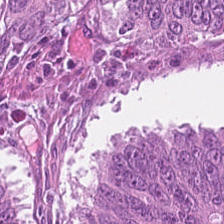Stain: hematoxylin and eosin.
Classification: malignant epithelium.
